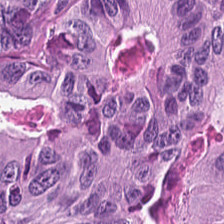Tissue: adenocarcinoma.
